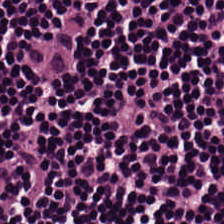H&E stain.
{"tissue_type": "lymphocyte aggregate"}
